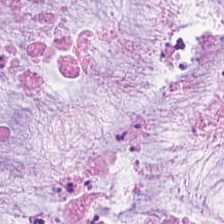Stain: hematoxylin and eosin.
Preparation: FFPE tissue section.
Tile size: 224×224 pixel tile.
Tissue type: extracellular mucin.
